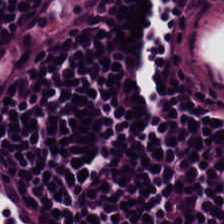Hematoxylin-and-eosin stained section — The predominant tissue is lymphocytic infiltrate.
